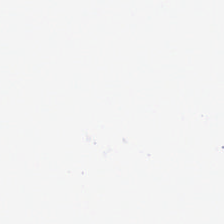H&E; 224×224 pixel tile.
Empty field — background.
